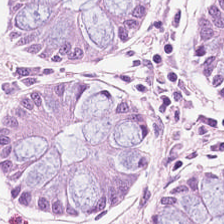Classification: benign colonic mucosa.
